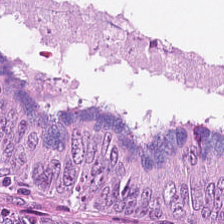H&E-stained section; the field shows tumor epithelium.
